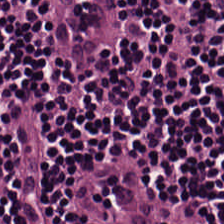Q: What tissue is shown?
A: The field shows lymphocyte aggregate.
